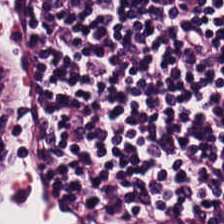H&E; 224×224 px patch — Finding → lymphoid infiltrate.
